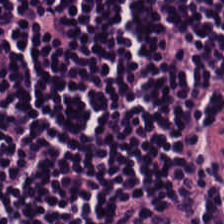Stain: H&E-stained tissue section.
Tissue: lymphocyte aggregate.
